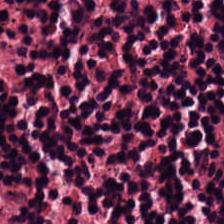0.5 microns per pixel. Hematoxylin-and-eosin stained section. Lymphocytic infiltrate.
